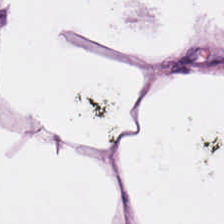FFPE; hematoxylin-and-eosin stained section.
This patch shows adipose tissue.
